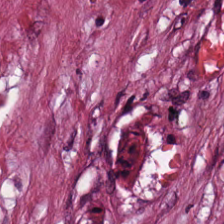0.5 µm per pixel; hematoxylin and eosin.
This patch shows tumor stroma.
